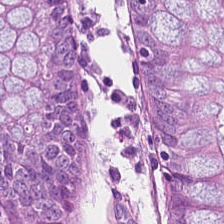H&E stain.
Finding — normal colon mucosa.
